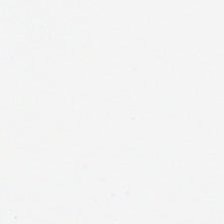H&E stain. No tissue present; background only.
